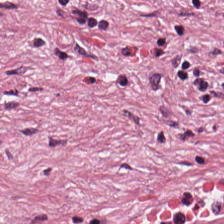Stain: H&E stain.
Acquisition: brightfield.
Classification: desmoplastic stroma.
